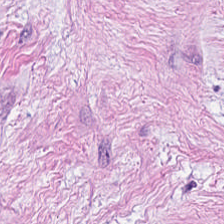224×224 pixel tile; hematoxylin-and-eosin stained section. Q: What is shown here?
A: This is tumor-associated stroma.
